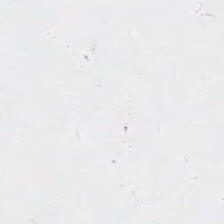224×224 px patch · FFPE tissue section · H&E stain.
Background — no tissue in this field.
